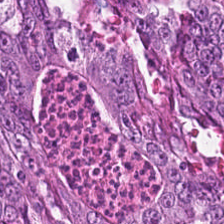FFPE tissue section. H&E-stained tissue section. WSI patch.
This patch shows adenocarcinoma.
